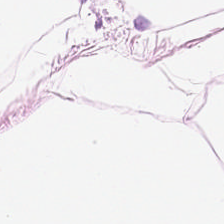Predominant tissue — adipocytes.
